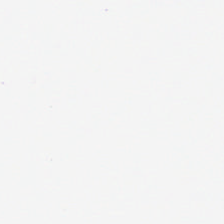H&E — Impression → empty background.
